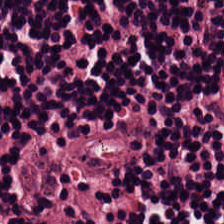H&E-stained tissue section — Q: Identify the tissue.
A: Lymphocyte aggregate.
